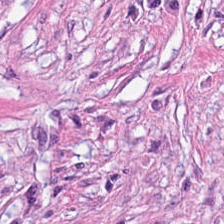H&E stain. 0.5 µm per pixel — Predominant tissue: tumor stroma.
